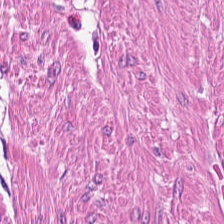Hematoxylin-and-eosin stained section.
Tissue type: muscularis.
